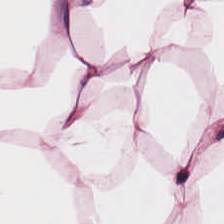Stain: hematoxylin and eosin.
Acquisition: whole-slide-image patch.
Resolution: 20× equivalent magnification.
Tissue: adipose.
